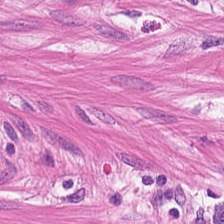224×224 px tile; H&E; FFPE — Muscularis.
